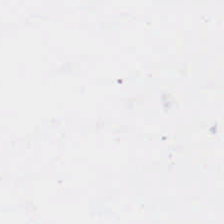H&E-stained tissue section — Background — no tissue in this field.
